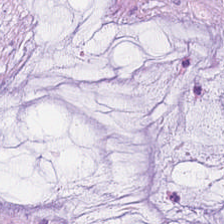Brightfield microscopy. H&E. Q: What does this patch show?
A: Mucin.
